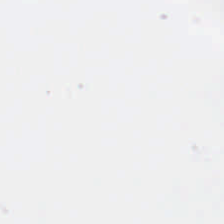Hematoxylin-and-eosin stained section.
Q: Classify this patch.
A: The field shows background.
